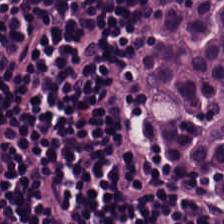H&E stain; 224×224 pixel tile — Lymphocytes.
